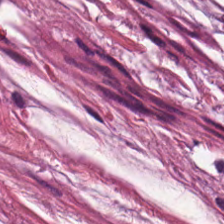Mucus.
